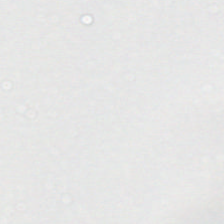Histology → background.
